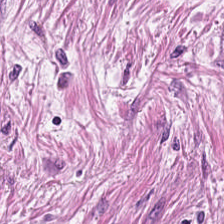H&E-stained section; the field shows desmoplastic stroma.
